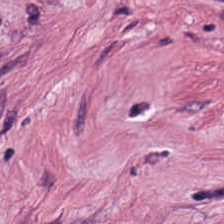0.5 µm per pixel; hematoxylin and eosin. Q: Identify the tissue.
A: It is tumor stroma.
